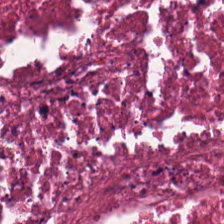Hematoxylin-and-eosin stained section.
Impression → necrotic debris.
